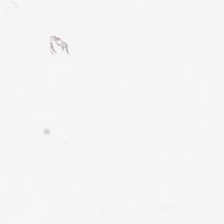Empty field — empty background.
